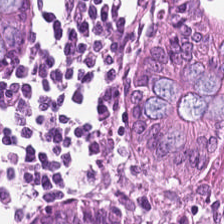Hematoxylin-and-eosin stained section — Tissue = benign colonic mucosa.
